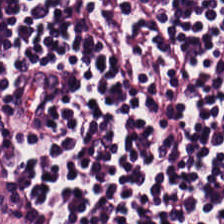FFPE; brightfield microscopy; hematoxylin-and-eosin stained section. Predominantly lymphocytic infiltrate.
